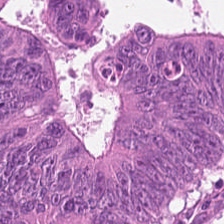FFPE tissue section. H&E-stained tissue section.
Tumor epithelium.
